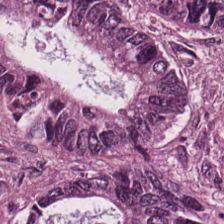H&E-stained tissue section.
Impression — adenocarcinoma.
